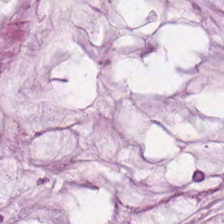Q: What type of tissue is this?
A: The field shows mucin.
